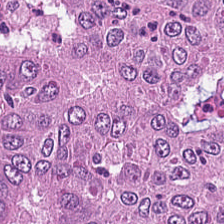Hematoxylin and eosin — Q: What is shown in this field?
A: The field shows tumor epithelium.
